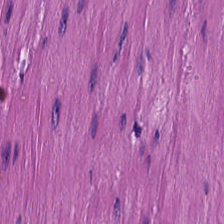The tissue here is muscularis.
